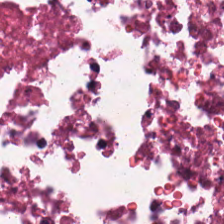Hematoxylin-and-eosin stained section. Predominant tissue = debris.
